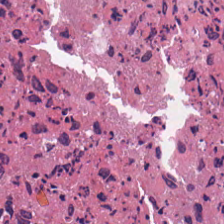H&E-stained tissue section. 224×224 px patch.
This field is debris.
